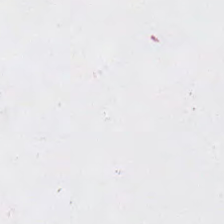224×224 px patch. H&E — The content is empty background.
